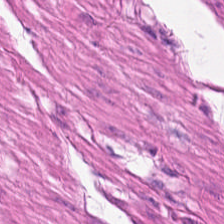Q: What is shown here?
A: The field shows muscularis.
